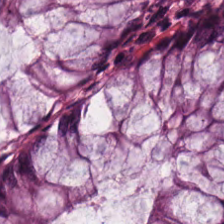Formalin-fixed paraffin-embedded section; H&E; 224×224 pixel tile.
The classification is normal colonic mucosa.
